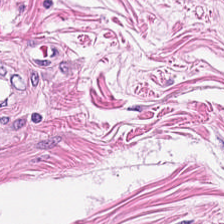Hematoxylin-and-eosin stained section — Impression — smooth-muscle tissue.
